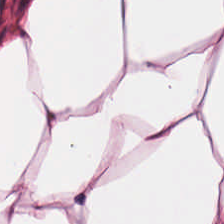0.5 µm per pixel; hematoxylin-and-eosin stained section. Tissue class = adipose.
